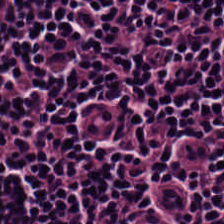Hematoxylin-and-eosin section: lymphocytes.
